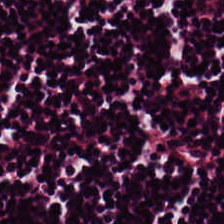Predominant tissue: lymphocytes.
